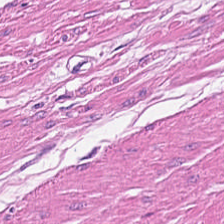H&E stain. 224×224 px patch.
Tissue class: muscularis.
